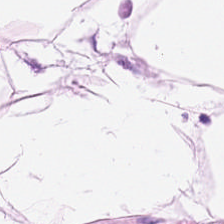H&E-stained tissue section — This patch shows adipose.
